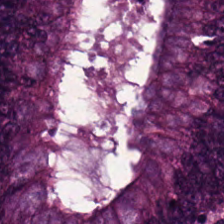Brightfield; H&E stain. Q: Identify the tissue.
A: This is colorectal adenocarcinoma.
